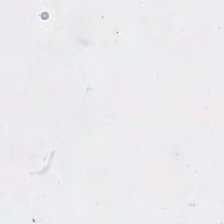H&E.
This field is background (no tissue).
